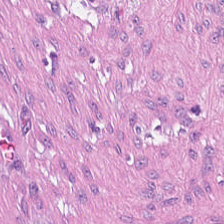224×224 px patch. Hematoxylin and eosin. Brightfield microscopy. Showing tumor-associated stroma.
